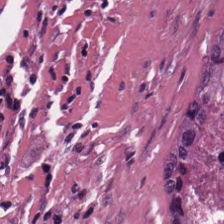Q: What is shown in this field?
A: Debris.
